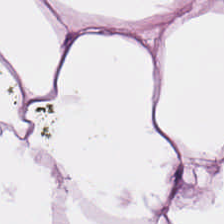H&E · 224×224 px tile · FFPE tissue section. Tissue — fat tissue.
